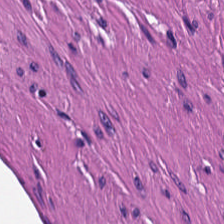H&E-stained tissue section · 0.5 µm/px. Smooth muscle.
